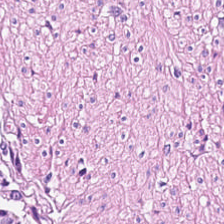0.5 µm/px. Hematoxylin-and-eosin stained section.
Histology → smooth muscle.
